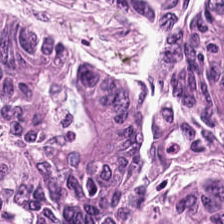224×224 px patch · H&E stain — Classification = colorectal adenocarcinoma epithelium.
